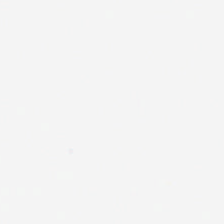0.5 µm per pixel. H&E stain. 224×224 pixel tile. Finding — empty background.
